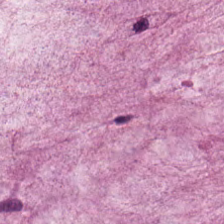Histology → mucus.
